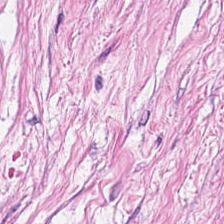Hematoxylin and eosin. 224×224 px tile. Predominantly tumor stroma.
